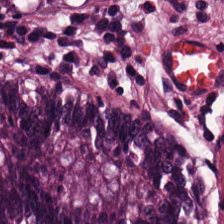224×224 pixel tile. 0.5 µm/px. Hematoxylin and eosin.
Finding → normal colon mucosa.
